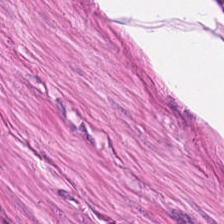H&E-stained tissue section — Tissue type — smooth muscle.
